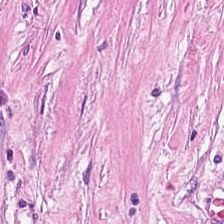224×224 pixel tile · formalin-fixed paraffin-embedded section · H&E-stained tissue section. This patch shows cancer-associated stroma.
